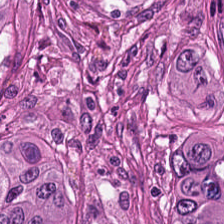224×224 pixel tile. Hematoxylin and eosin. FFPE. The predominant tissue is colorectal adenocarcinoma.
